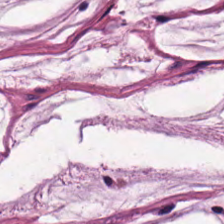Predominantly mucin.
